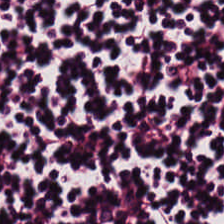Hematoxylin-and-eosin stained section.
The tissue type is lymphocyte aggregate.
